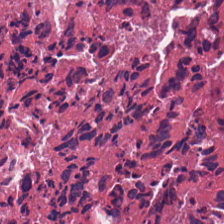Hematoxylin and eosin. The predominant tissue is debris.
